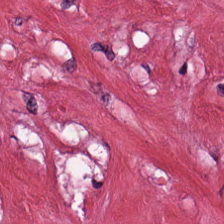Hematoxylin-and-eosin stained section — Classification: cancer-associated stroma.
